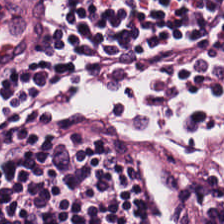Stain: hematoxylin and eosin.
Tissue: lymphocytic infiltrate.
